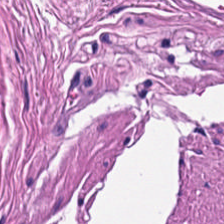Hematoxylin and eosin — Predominant tissue: smooth muscle.
